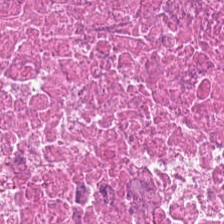Hematoxylin and eosin. 0.5 µm per pixel. 224×224 px tile.
Classification — debris.
